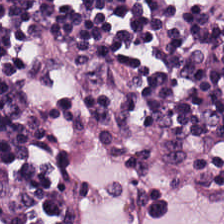H&E; formalin-fixed paraffin-embedded section; 0.5 µm per pixel — Showing lymphoid infiltrate.
